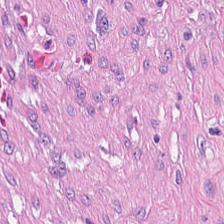H&E-stained tissue section — Tissue type — tumor stroma.
